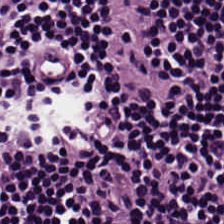H&E; FFPE tissue section; 224×224 px patch. {"tissue_type": "lymphocytes"}
